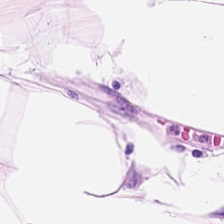H&E stain — This patch shows adipose tissue.
